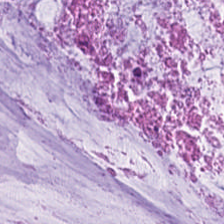Tissue class: mucus.
